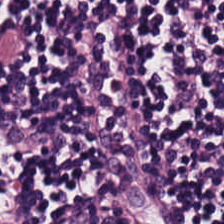This patch shows lymphocytic infiltrate.
